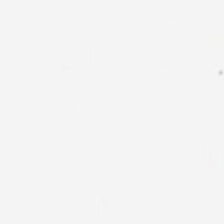Hematoxylin-and-eosin stained section.
The field content is background (no tissue).
